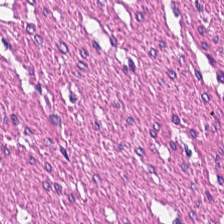H&E stain. 224×224 px patch. Tissue = smooth muscle.
